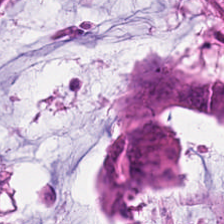224×224 px patch · hematoxylin-and-eosin stained section — The predominant tissue is adenocarcinoma.
